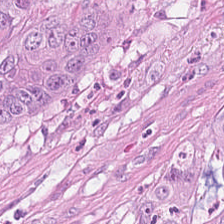Stain: hematoxylin and eosin.
Classification: malignant epithelium.
